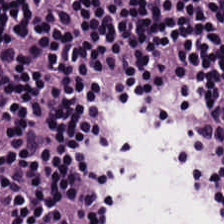Hematoxylin-and-eosin stained section; 20× equivalent magnification — Q: What tissue type is shown here?
A: It is lymphocytic infiltrate.
